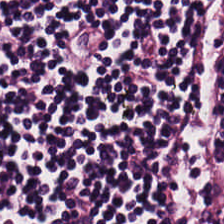Q: What tissue is shown?
A: Lymphocytic infiltrate.
